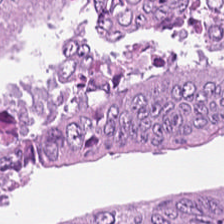FFPE. Hematoxylin-and-eosin stained section.
This patch shows tumor epithelium.
